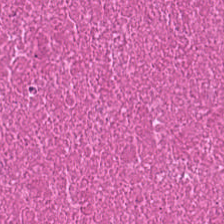H&E-stained section; the field shows cellular debris.
